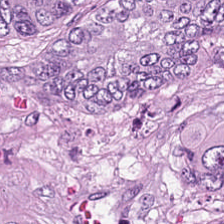Hematoxylin and eosin · WSI patch — Histology → colorectal adenocarcinoma epithelium.
